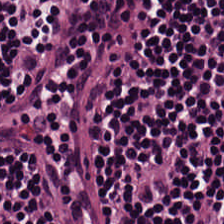Hematoxylin and eosin · 0.5 µm/px — The classification is lymphocytic infiltrate.
